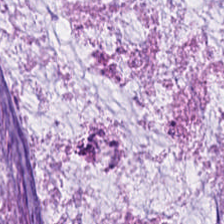This patch shows mucin.
